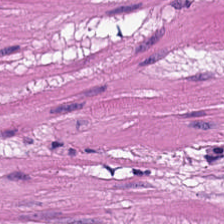Hematoxylin and eosin. FFPE tissue section.
Classification — smooth muscle.
